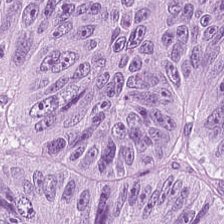Stain: hematoxylin-and-eosin stained section.
Tissue type: colorectal adenocarcinoma epithelium.
